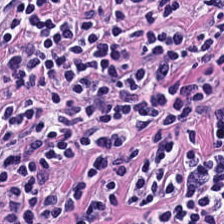H&E stain. Histology → lymphocyte aggregate.
